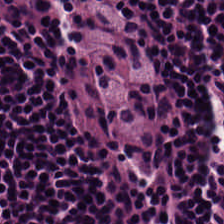Q: What is shown here?
A: It is lymphoid infiltrate.
